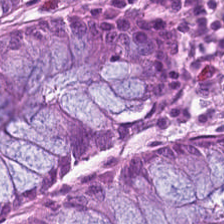Hematoxylin and eosin. Tissue — normal colon mucosa.
